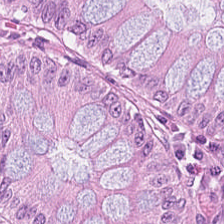224×224 pixel tile; hematoxylin-and-eosin stained section; brightfield.
Showing non-neoplastic colon mucosa.
